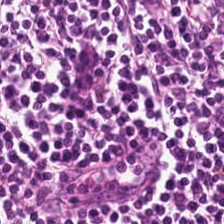Hematoxylin-and-eosin stained section. Finding → lymphocyte aggregate.
